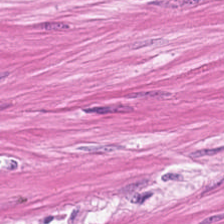Formalin-fixed paraffin-embedded section. Hematoxylin and eosin. Q: What type of tissue is this?
A: This is smooth muscle.
